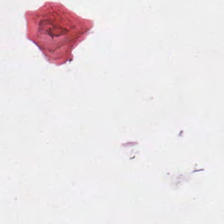Hematoxylin and eosin · WSI patch · 224×224 px patch — Background — no tissue in this field.
